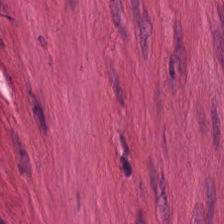Hematoxylin and eosin; FFPE tissue section.
Impression → smooth muscle.
